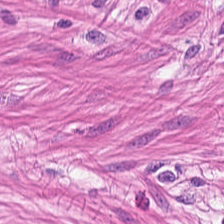Stain: H&E-stained tissue section.
Resolution: 20× equivalent magnification.
Tile size: 224×224 px patch.
Tissue class: muscularis.
